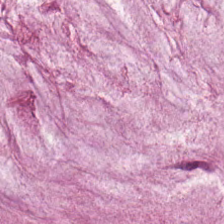H&E; FFPE tissue section; WSI patch. {"tissue_type": "mucus"}
